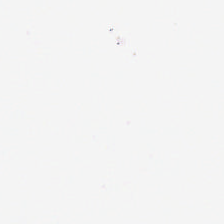H&E stain. Formalin-fixed paraffin-embedded section — Content — empty background.
